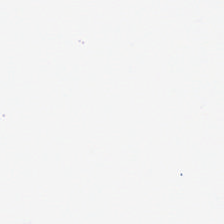H&E stain. Classification — background.
